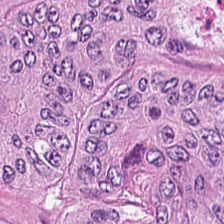The predominant tissue is malignant epithelium.
